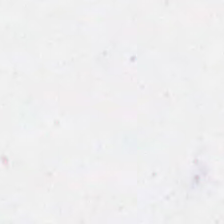H&E · 224×224 pixel tile.
Histology → background.
